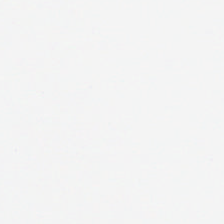WSI patch. H&E-stained tissue section. 224×224 pixel tile. Field content: background (no tissue).
